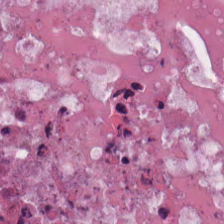Hematoxylin-and-eosin stained section.
Necrotic debris.
